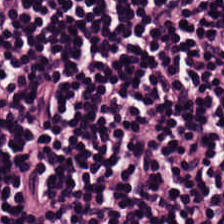FFPE · 224×224 px tile · hematoxylin-and-eosin stained section — Q: What is shown in this field?
A: It is lymphocyte aggregate.
